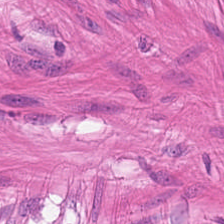Brightfield. Hematoxylin-and-eosin stained section.
Predominantly smooth muscle.
